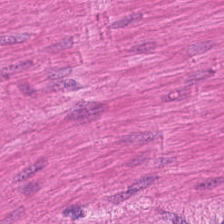Impression — muscularis.
